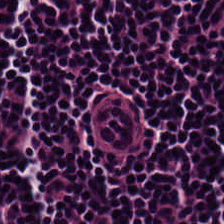H&E — This patch shows lymphocytic infiltrate.
